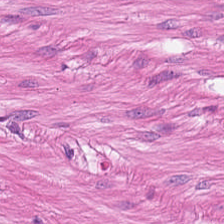WSI patch · hematoxylin and eosin — Impression — muscularis.
